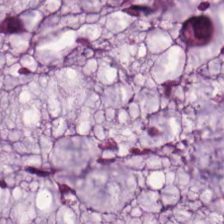H&E-stained tissue section.
Predominantly mucus.
